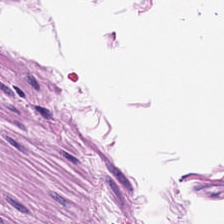H&E stain; FFPE tissue section; whole-slide-image patch.
Finding → muscularis.
